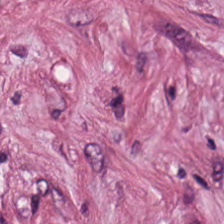H&E patch showing desmoplastic stroma.
